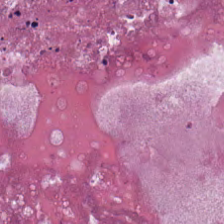H&E stain. Q: What does this patch show?
A: This is debris.
